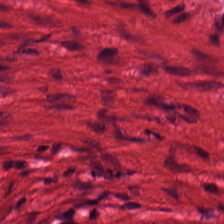Tissue class — smooth-muscle tissue.
